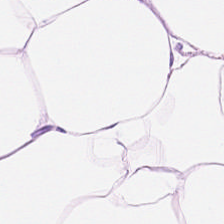Stain: H&E-stained tissue section.
Tile size: 224×224 px tile.
Resolution: 20× equivalent magnification.
Tissue: adipose.
